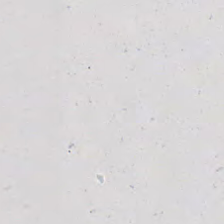Hematoxylin-and-eosin stained section.
Content — background (no tissue).
